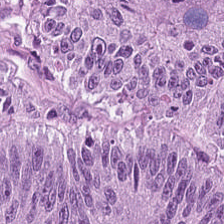H&E. 0.5 µm/px. Histology → tumor epithelium.
